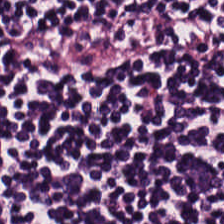224×224 pixel tile · H&E stain.
The predominant tissue is lymphocytic infiltrate.
